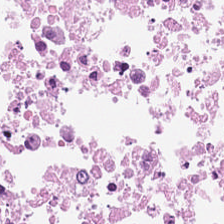224×224 pixel tile. Hematoxylin and eosin. Whole-slide-image patch.
Q: Classify this patch.
A: This is debris.
